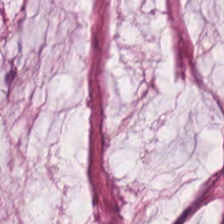H&E-stained tissue section; whole-slide-image patch. Predominant tissue = mucin.
